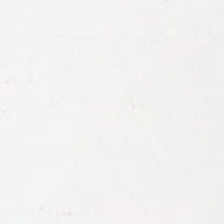Stain: hematoxylin-and-eosin stained section.
Resolution: 0.5 µm/px.
Preparation: FFPE tissue section.
Classification: empty background.
